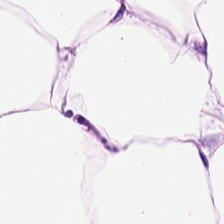Hematoxylin-and-eosin stained section.
The tissue type is fat tissue.
